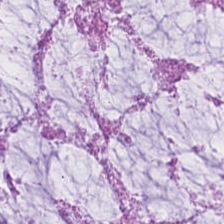Hematoxylin and eosin · formalin-fixed paraffin-embedded section. Tissue = mucus.
